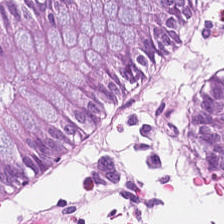Q: What is shown here?
A: It is normal colon mucosa.
